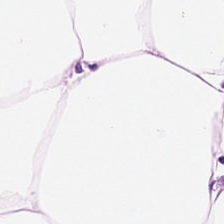0.5 µm/px. H&E stain — The predominant tissue is adipose.
